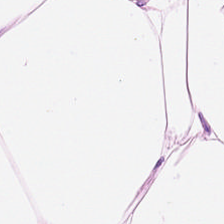224×224 px tile; hematoxylin and eosin.
Tissue = adipose.
